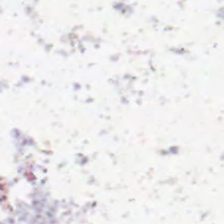Classification: no tissue.
